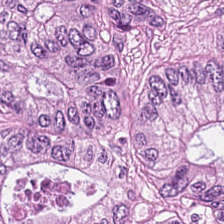Whole-slide-image patch. 0.5 microns per pixel. H&E stain.
Tissue class: colorectal adenocarcinoma.
